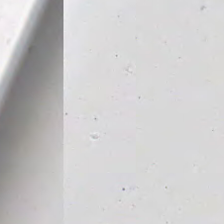Hematoxylin and eosin — Q: What does this patch show?
A: It is background (no tissue).
